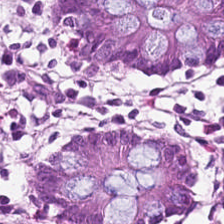H&E — Q: What type of tissue is this?
A: It is non-neoplastic colon mucosa.
